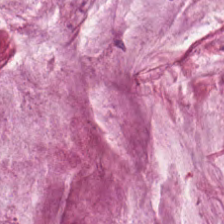H&E-stained tissue section — Tissue type — extracellular mucin.
